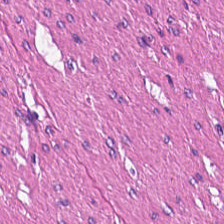H&E. 0.5 microns per pixel — Tissue class: smooth muscle.
